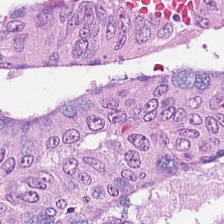H&E-stained tissue section showing tumor epithelium.
